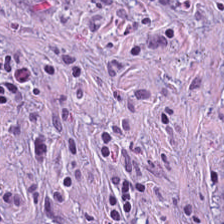H&E-stained tissue section · FFPE — Histology → tumor stroma.
